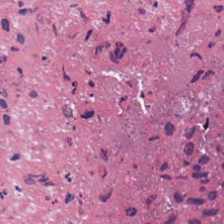224×224 pixel tile. Hematoxylin-and-eosin stained section. Tissue — necrotic debris.
